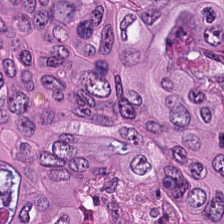Stain: hematoxylin and eosin.
Acquisition: whole-slide-image patch.
Tissue type: malignant epithelium.
